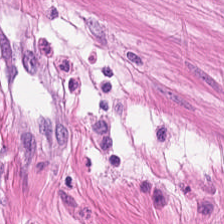Hematoxylin-and-eosin stained section; 224×224 px tile — This field is smooth-muscle tissue.
